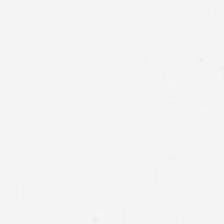Stain: H&E-stained tissue section.
Resolution: 20× equivalent magnification.
Field content: no tissue.
